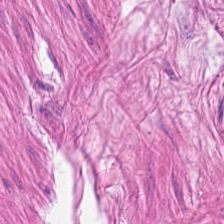H&E-stained tissue section.
Classification — muscularis.
